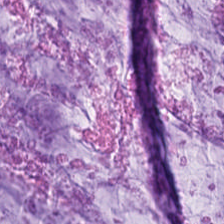Hematoxylin-and-eosin stained section; FFPE tissue section. {"tissue_type": "mucin"}
